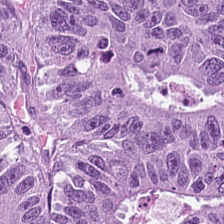Brightfield microscopy · 20× equivalent magnification · H&E stain — {"tissue_type": "colorectal adenocarcinoma"}
